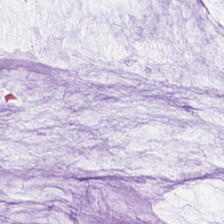H&E · 224×224 px patch · whole-slide-image patch — Classification: mucus.
